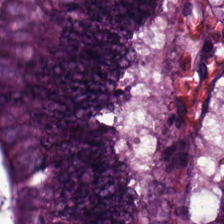Showing tumor epithelium.
